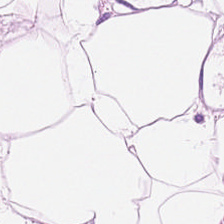Hematoxylin-and-eosin stained section.
Histology — fat tissue.
